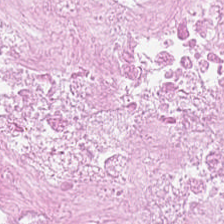Hematoxylin and eosin — The tissue class is cellular debris.
